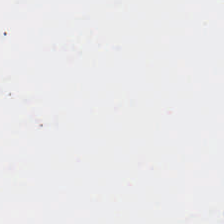H&E. 20× equivalent magnification. The field content is background (no tissue).
